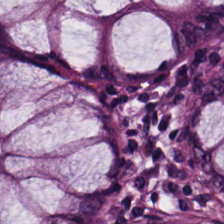H&E-stained tissue section. {"tissue_type": "non-neoplastic colon mucosa"}
